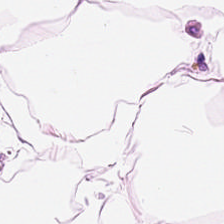224×224 pixel tile; hematoxylin and eosin — Tissue type: fat tissue.
